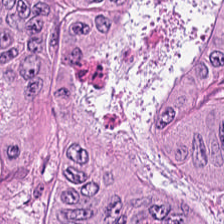H&E stain. Whole-slide-image patch — Showing malignant epithelium.
